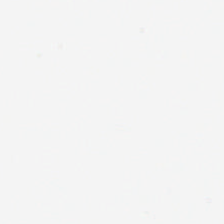Hematoxylin-and-eosin stained section.
No tissue present; background only.
